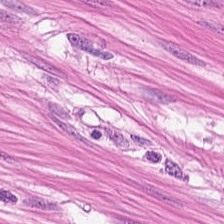H&E stain. Histology → smooth-muscle tissue.
